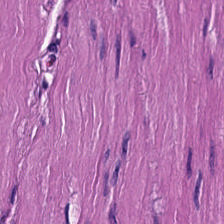Stain: H&E-stained tissue section.
Classification: muscularis.
